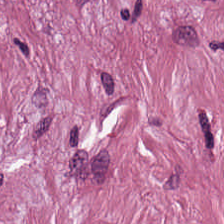FFPE; H&E; brightfield. Predominantly cancer-associated stroma.
